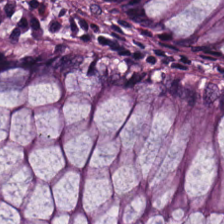Stain: H&E.
Tissue: non-neoplastic colon mucosa.
